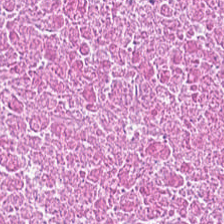Brightfield microscopy; H&E — Showing necrotic debris.
